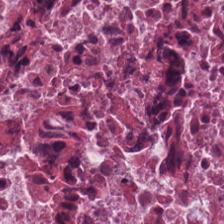Hematoxylin and eosin. WSI patch — Tissue class = necrotic debris.
